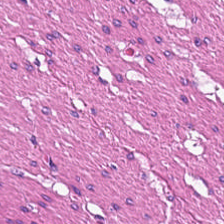H&E stain. Predominantly smooth-muscle tissue.
